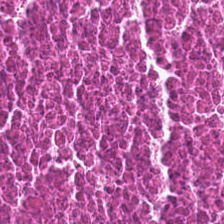Hematoxylin and eosin. Finding — necrotic debris.
